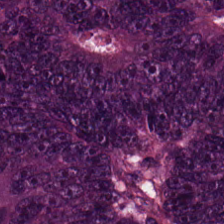H&E — This patch shows malignant epithelium.
